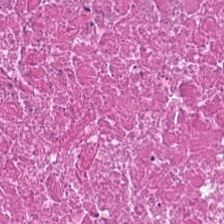224×224 px tile; H&E stain; brightfield microscopy — The tissue is cellular debris.
